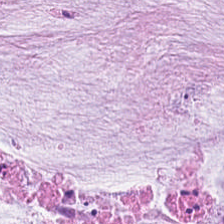Classification — extracellular mucin.
